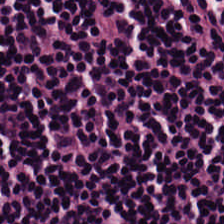Brightfield microscopy · H&E. The tissue here is lymphocytic infiltrate.
